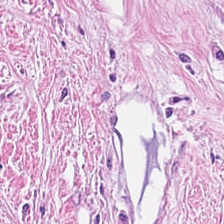H&E stain.
Q: What tissue is shown?
A: It is tumor stroma.
